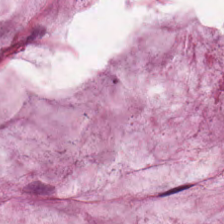H&E. Q: What is shown here?
A: It is mucin.
